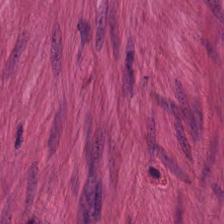Smooth muscle.
